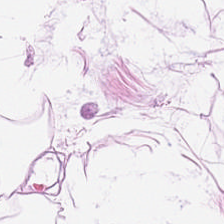Q: Identify the tissue.
A: It is adipose tissue.
